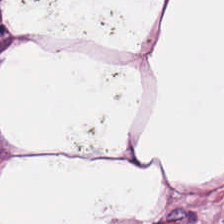H&E stain. Histology — adipose tissue.
